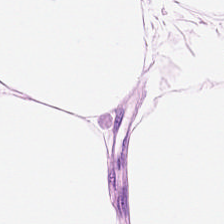Hematoxylin-and-eosin stained section. Histology → adipocytes.
